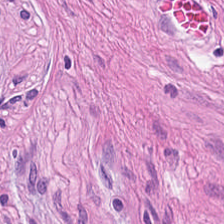Hematoxylin-and-eosin stained section.
Tissue class = smooth muscle.
